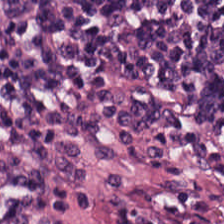0.5 µm per pixel; H&E-stained tissue section — Predominant tissue = lymphocyte aggregate.
